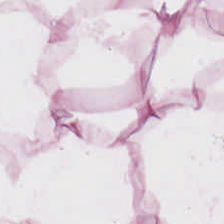H&E stain. The classification is adipose.
